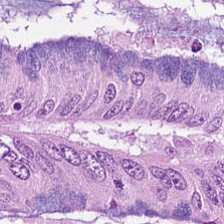WSI patch; hematoxylin and eosin.
Showing malignant epithelium.
